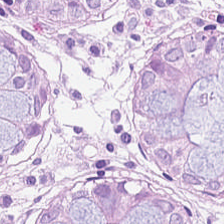H&E; 224×224 px patch.
This field is non-neoplastic colon mucosa.
